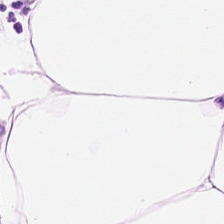H&E. This patch shows adipocytes.
